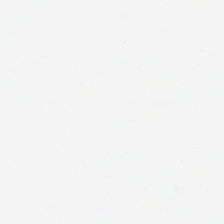Stain: hematoxylin-and-eosin stained section.
Content: background.
